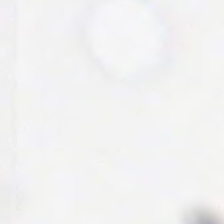H&E-stained tissue section. Background.
